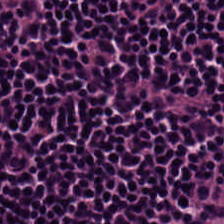Stain: H&E.
Tissue: lymphocytes.
